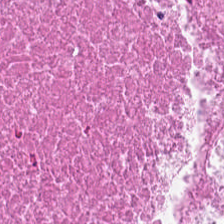Hematoxylin and eosin — The tissue here is debris.
